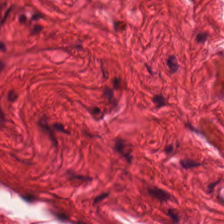0.5 µm/px. Hematoxylin and eosin. 224×224 px patch — The tissue here is smooth muscle.
